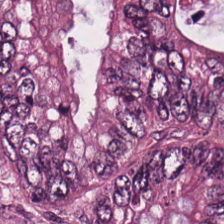Hematoxylin and eosin. Tissue: adenocarcinoma.
